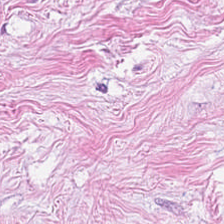Predominantly desmoplastic stroma.
